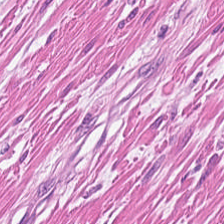H&E · 20× equivalent magnification. Predominantly smooth-muscle tissue.
